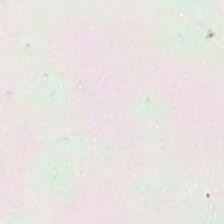This field is background (no tissue).
